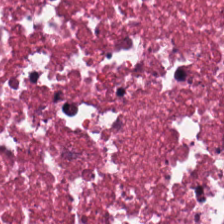The predominant tissue is necrotic debris.
